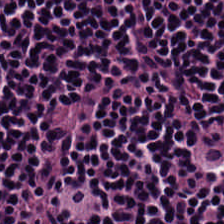H&E stain. Lymphoid infiltrate.
